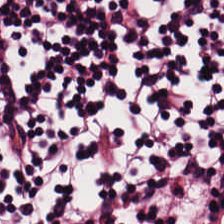Brightfield microscopy · hematoxylin-and-eosin stained section · FFPE. The predominant tissue is lymphoid infiltrate.
